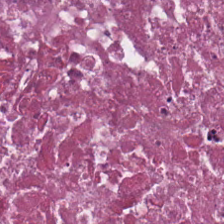This field is cellular debris.
